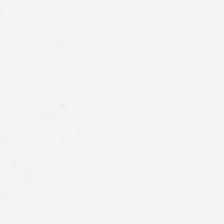FFPE tissue section; H&E stain — No tissue.
